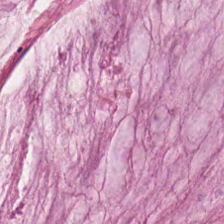Q: Identify the tissue.
A: The field shows extracellular mucin.
